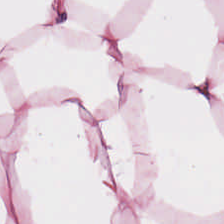Hematoxylin and eosin — {"tissue_type": "adipocytes"}
